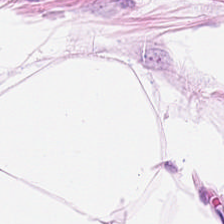H&E. Predominantly fat tissue.
